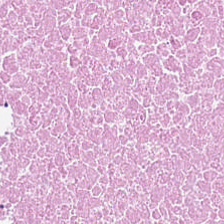Hematoxylin-and-eosin stained section. Showing cellular debris.
